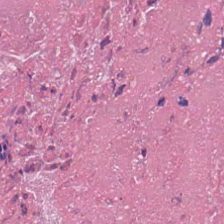Hematoxylin and eosin.
Predominantly cellular debris.
